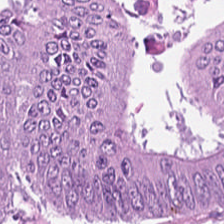H&E-stained section; the field shows colorectal adenocarcinoma epithelium.
